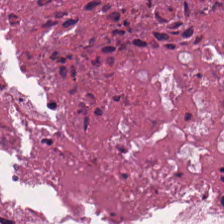H&E.
This field is necrotic debris.
